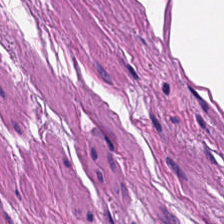Hematoxylin-and-eosin stained section.
Classification = smooth-muscle tissue.
